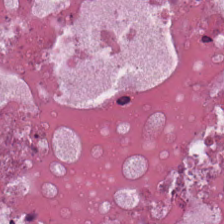H&E-stained tissue section.
Necrotic debris.
